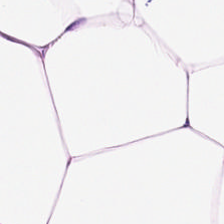Formalin-fixed paraffin-embedded section. H&E-stained tissue section.
Q: What tissue type is shown here?
A: It is adipose tissue.
